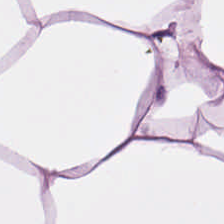H&E-stained tissue section. Predominant tissue = fat tissue.
